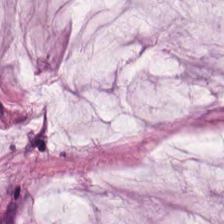Q: Identify the tissue.
A: This is extracellular mucin.
